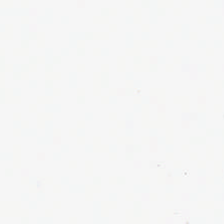224×224 pixel tile; WSI patch; hematoxylin and eosin.
Q: Classify this patch.
A: It is empty background.
